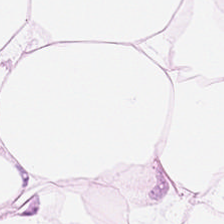FFPE tissue section; hematoxylin-and-eosin stained section. Histology → fat tissue.
